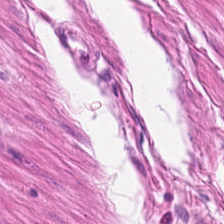Tissue class: muscularis.
